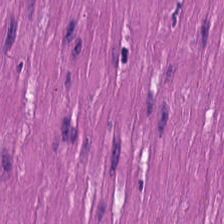Hematoxylin and eosin. Showing smooth-muscle tissue.
